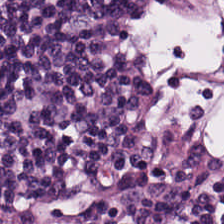Tissue class: lymphoid infiltrate.
